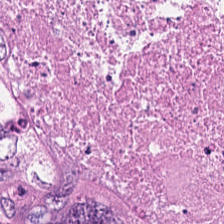The tissue is cellular debris.
